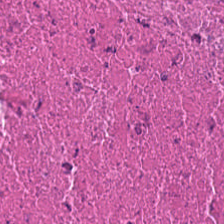Stain: H&E-stained tissue section.
Preparation: FFPE.
Acquisition: brightfield.
Classification: debris.
